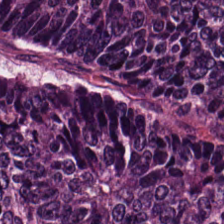Stain: H&E stain.
Tissue type: malignant epithelium.
